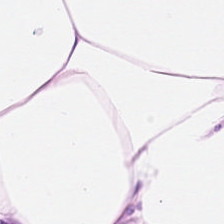H&E stain — {"tissue_type": "fat tissue"}
